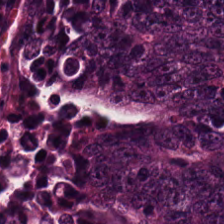The tissue here is adenocarcinoma.
